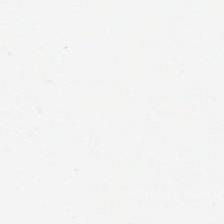H&E stain.
Background (no tissue).
